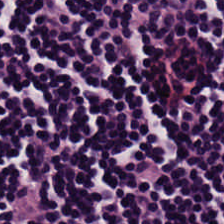0.5 µm per pixel · H&E — Histology — lymphocytic infiltrate.
